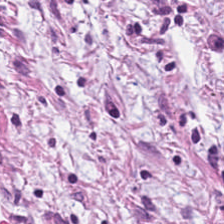FFPE. H&E-stained tissue section. 224×224 px patch — This patch shows cancer-associated stroma.
